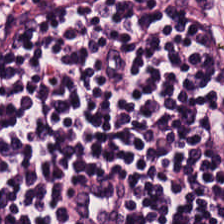Finding → lymphocytes.
